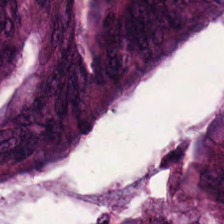Hematoxylin and eosin — Impression — colorectal adenocarcinoma epithelium.
